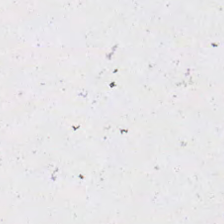Brightfield microscopy · H&E · FFPE tissue section. Impression — background (no tissue).
